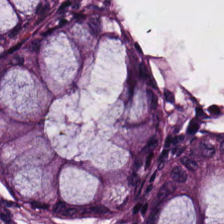Stain: hematoxylin and eosin.
Tissue type: normal colon mucosa.
